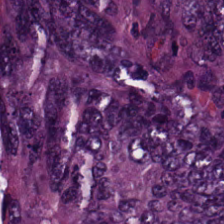Stain: hematoxylin-and-eosin stained section.
Tissue class: adenocarcinoma.
